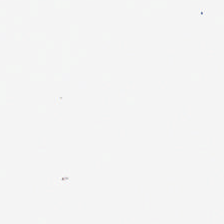Background — no tissue in this field.
